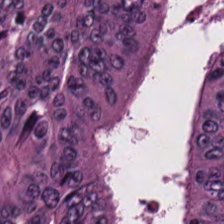Hematoxylin-and-eosin section: colorectal adenocarcinoma epithelium.
